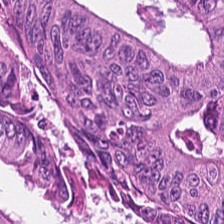Hematoxylin and eosin. Q: What is shown in this field?
A: The field shows tumor epithelium.
